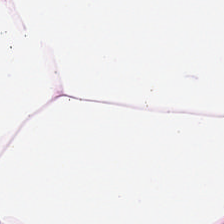Classification: adipose.
